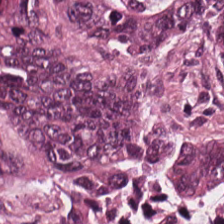Hematoxylin and eosin; FFPE tissue section. Tissue type — malignant epithelium.
